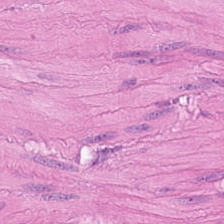The tissue type is smooth-muscle tissue.
